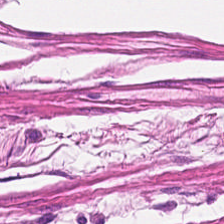H&E. Histology — smooth muscle.
